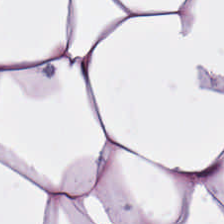H&E-stained tissue section — Adipose tissue.
